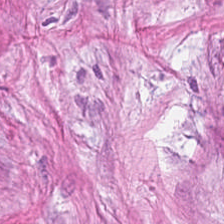H&E-stained tissue section — Histology — tumor stroma.
